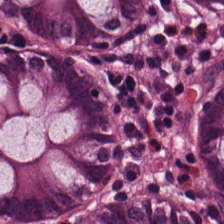0.5 µm per pixel. Brightfield microscopy. Hematoxylin-and-eosin stained section — Predominant tissue: normal colonic mucosa.
